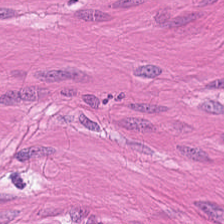WSI patch. H&E stain. Impression → smooth muscle.
